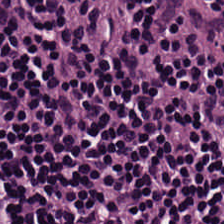The tissue here is lymphocytes.
